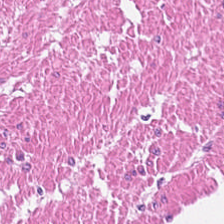Hematoxylin-and-eosin stained section; 0.5 microns per pixel — Tissue class: smooth-muscle tissue.
